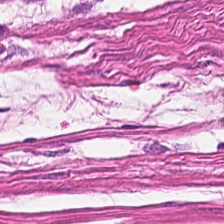224×224 px tile · H&E stain. The tissue is smooth-muscle tissue.
